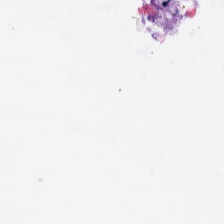FFPE tissue section. Hematoxylin-and-eosin stained section — No tissue present; background only.
